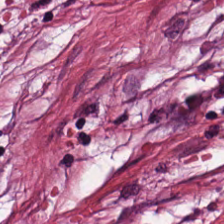Hematoxylin-and-eosin stained section — Predominantly desmoplastic stroma.
